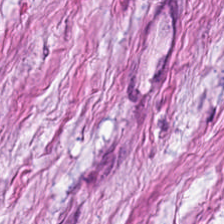H&E — The tissue here is tumor stroma.
